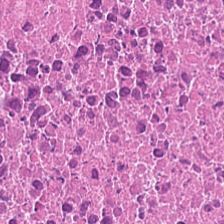224×224 pixel tile; H&E stain — Showing cellular debris.
